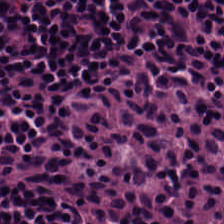Hematoxylin-and-eosin stained section — {"tissue_type": "lymphocytes"}
